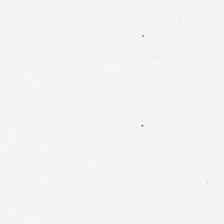Hematoxylin and eosin — The content is empty background.
